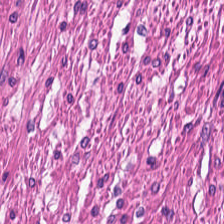Whole-slide-image patch; hematoxylin-and-eosin stained section — Finding → smooth muscle.
